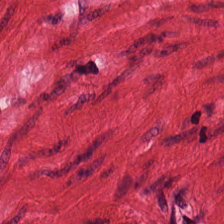224×224 px patch · H&E stain · FFPE tissue section.
Tissue type = smooth muscle.
